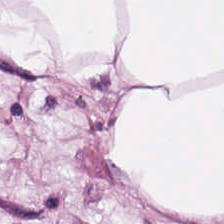H&E stain — This patch shows adipose tissue.
